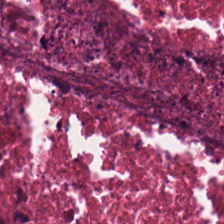H&E stain. Brightfield. 0.5 µm per pixel. Showing debris.
